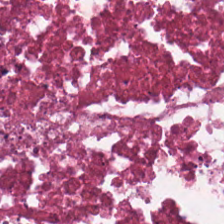Stain: hematoxylin-and-eosin stained section.
Predominant tissue: cellular debris.
